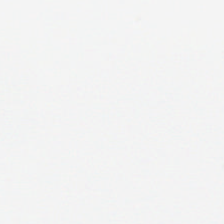Hematoxylin and eosin — Content = background (no tissue).
